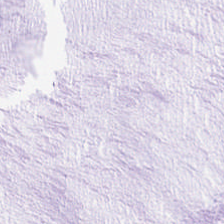H&E stain.
Histology — extracellular mucin.
